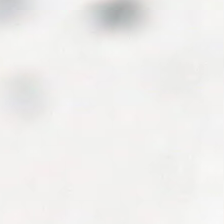Stain: hematoxylin and eosin.
Content: no tissue.
